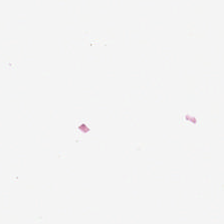H&E.
This patch shows background.
